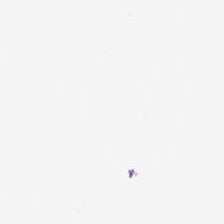0.5 µm/px · H&E stain.
Empty background.
